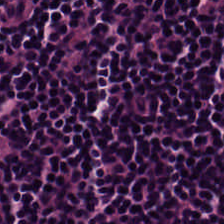Q: What is shown in this field?
A: The field shows lymphocyte aggregate.
